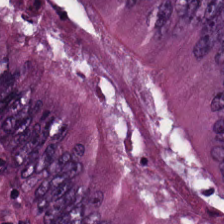20× equivalent magnification · hematoxylin-and-eosin stained section.
The tissue here is tumor epithelium.
